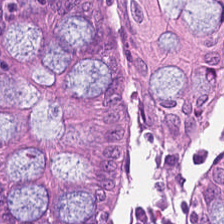The tissue is non-neoplastic colon mucosa.
